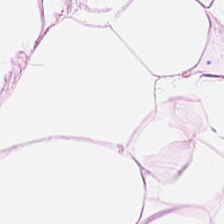0.5 µm per pixel · FFPE · hematoxylin and eosin. Histology — fat tissue.
